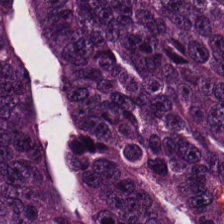Stain: hematoxylin-and-eosin stained section.
Predominant tissue: tumor epithelium.
